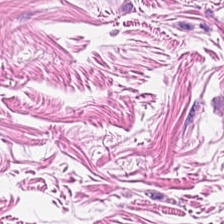H&E — smooth-muscle tissue.
